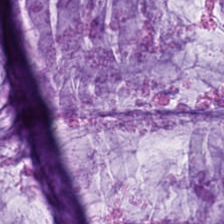Stain: H&E-stained tissue section.
Preparation: formalin-fixed paraffin-embedded section.
Predominant tissue: mucus.
